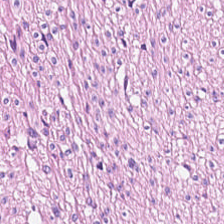Tissue — muscularis.
